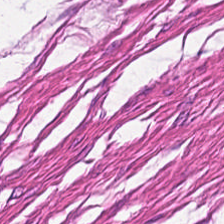FFPE. Hematoxylin and eosin.
This field is muscularis.
